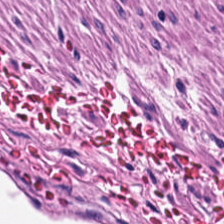WSI patch; hematoxylin and eosin; 0.5 µm per pixel.
Q: What does this patch show?
A: The field shows smooth muscle.
